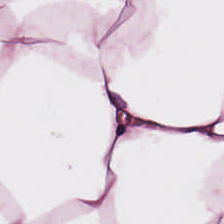This patch shows fat tissue.
